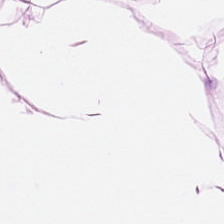224×224 px tile; hematoxylin-and-eosin stained section; formalin-fixed paraffin-embedded section — Showing adipose tissue.
